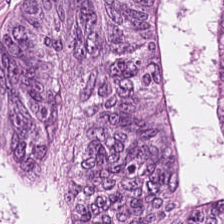H&E stain.
This field is adenocarcinoma.
